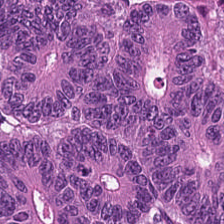Stain: H&E stain.
Tile size: 224×224 px tile.
Classification: colorectal adenocarcinoma.
